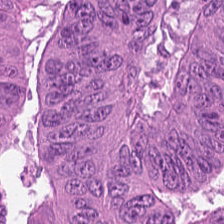Stain: H&E stain.
Resolution: 0.5 microns per pixel.
Preparation: FFPE.
Tissue: colorectal adenocarcinoma.
